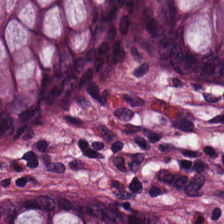Hematoxylin and eosin — Showing benign colonic mucosa.
